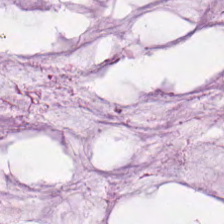H&E-stained tissue section.
Tissue — mucus.
